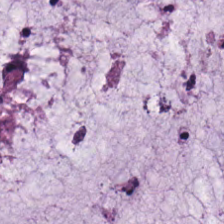Impression → mucin.
